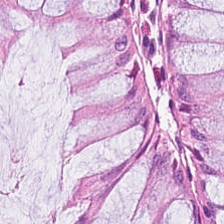H&E — Classification — normal colonic mucosa.
